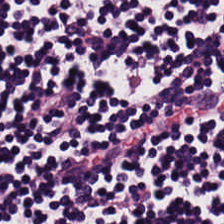H&E stain — The tissue here is lymphocyte aggregate.
